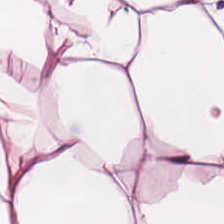Whole-slide-image patch. H&E-stained tissue section. 0.5 µm per pixel.
Tissue type: adipocytes.
